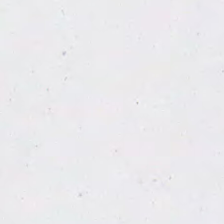{"content": "no tissue"}
